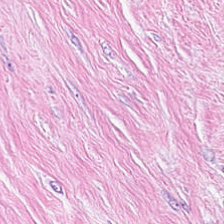H&E stain.
{"tissue_type": "tumor stroma"}
